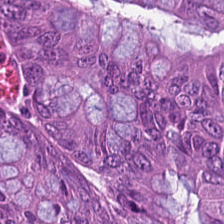H&E-stained tissue section.
Histology — malignant epithelium.
